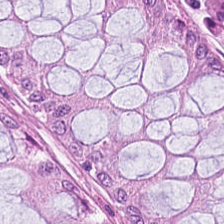224×224 px patch · FFPE · H&E. The tissue is non-neoplastic colon mucosa.
